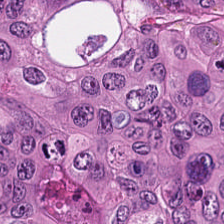224×224 px tile; hematoxylin and eosin — This patch shows colorectal adenocarcinoma.
